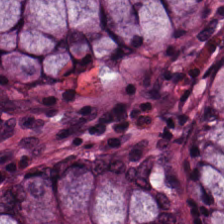Hematoxylin-and-eosin stained section; FFPE tissue section. Q: What tissue is shown?
A: This is non-neoplastic colon mucosa.
